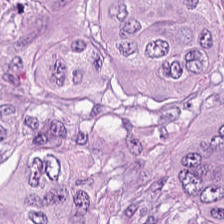Hematoxylin and eosin. 224×224 px tile.
Tissue: malignant epithelium.
